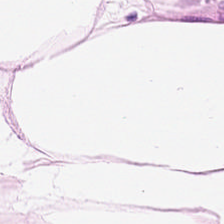Classification: adipocytes.
